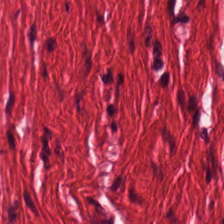WSI patch. Hematoxylin-and-eosin stained section.
Q: Identify the tissue.
A: The field shows smooth-muscle tissue.
